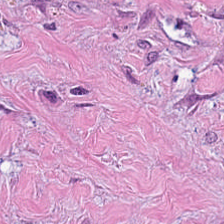Whole-slide-image patch; H&E; formalin-fixed paraffin-embedded section. This field is tumor stroma.
